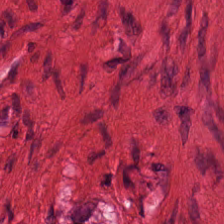0.5 µm/px. H&E stain. 224×224 px tile.
{"tissue_type": "smooth muscle"}
